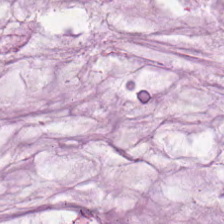Hematoxylin and eosin · 20× equivalent magnification.
Predominant tissue — mucus.
